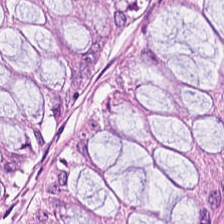The classification is normal colonic mucosa.
